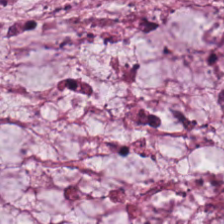Hematoxylin and eosin. Finding — mucus.
